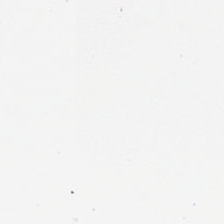H&E-stained tissue section. Field content — background.
